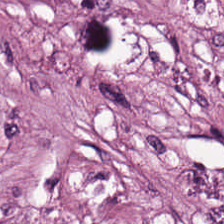H&E — desmoplastic stroma.
